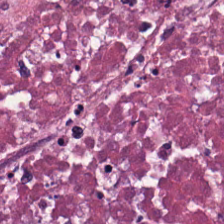224×224 pixel tile; H&E-stained tissue section; 20× equivalent magnification. Debris.
